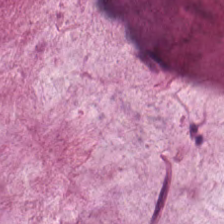Hematoxylin-and-eosin stained section. Brightfield microscopy.
Q: What tissue is shown?
A: The field shows mucin.
